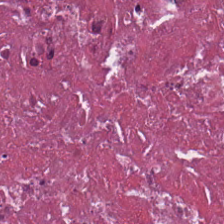H&E — The predominant tissue is cellular debris.
